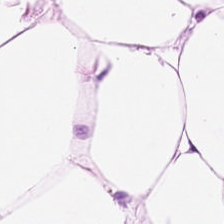H&E-stained tissue section — {"tissue_type": "adipocytes"}
